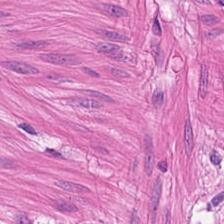The predominant tissue is smooth muscle.
